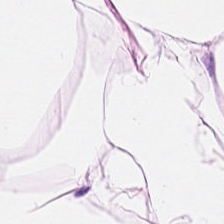0.5 microns per pixel. 224×224 px patch. Hematoxylin and eosin.
Predominant tissue — adipose.
